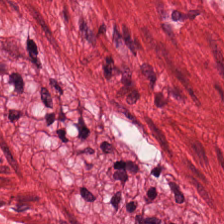Hematoxylin-and-eosin stained section — Finding — smooth-muscle tissue.
